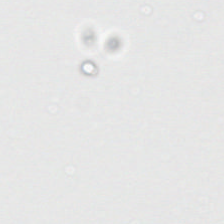H&E-stained tissue section — {"content": "background (no tissue)"}
